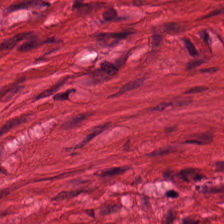Hematoxylin-and-eosin section: smooth muscle.
